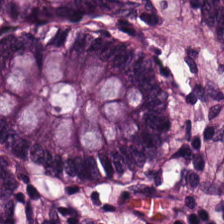H&E stain. Finding → normal colon mucosa.
